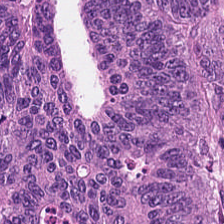Hematoxylin and eosin; 224×224 px patch; FFPE — Predominant tissue — adenocarcinoma.
